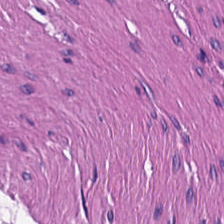Q: What tissue type is shown here?
A: Muscularis.
